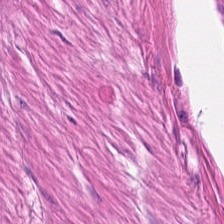H&E — Tissue: smooth-muscle tissue.
